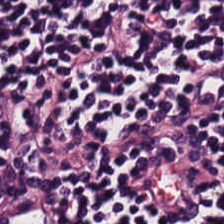The predominant tissue is lymphoid infiltrate.
